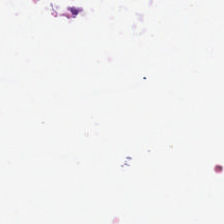Hematoxylin and eosin.
The content is background.
